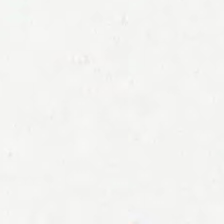This patch shows empty background.
